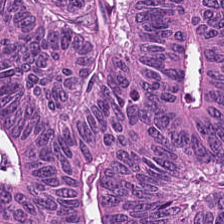Hematoxylin and eosin — Q: Classify this patch.
A: The field shows colorectal adenocarcinoma epithelium.
